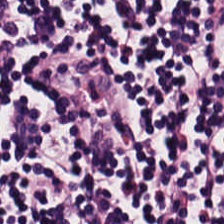WSI patch · H&E — Predominant tissue: lymphocytes.
